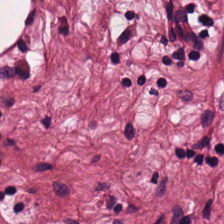Tissue type: desmoplastic stroma.
